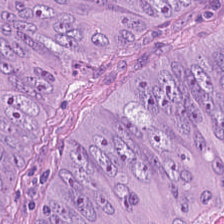0.5 microns per pixel. Formalin-fixed paraffin-embedded section. H&E-stained tissue section.
The tissue here is colorectal adenocarcinoma.
